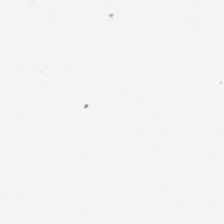This patch shows empty background.
